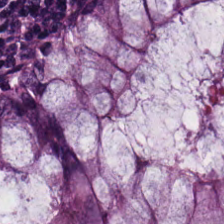Formalin-fixed paraffin-embedded section. H&E.
Finding → benign colonic mucosa.
